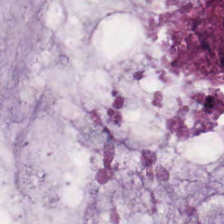H&E-stained tissue section — Classification: extracellular mucin.
